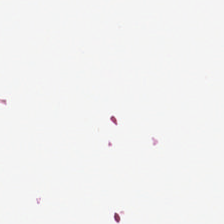WSI patch. H&E-stained tissue section. 0.5 µm/px — Q: What is shown here?
A: This is no tissue.
